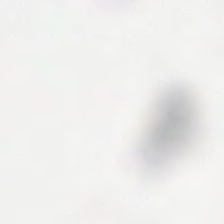H&E stain; 224×224 px patch — No tissue present; background only.
